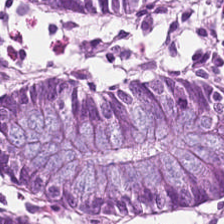H&E — Q: What tissue type is shown here?
A: Normal colon mucosa.
